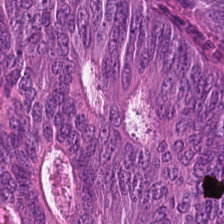Q: What is shown in this field?
A: Colorectal adenocarcinoma epithelium.
